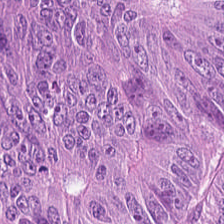WSI patch · hematoxylin-and-eosin stained section.
Q: What tissue type is shown here?
A: Adenocarcinoma.
